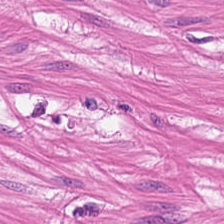H&E-stained section; the field shows smooth-muscle tissue.
